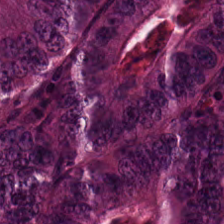H&E. Tissue type = colorectal adenocarcinoma.
